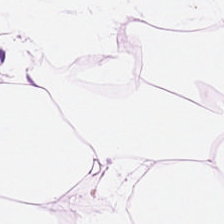Tissue: adipose tissue.
